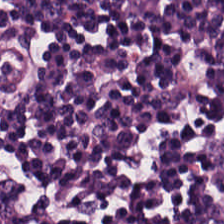FFPE tissue section; H&E stain — The tissue here is lymphocyte aggregate.
